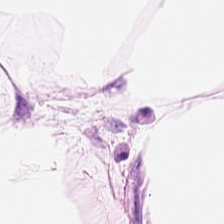H&E-stained tissue section — This field is adipose tissue.
